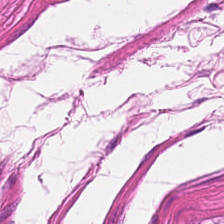Stain: hematoxylin-and-eosin stained section.
Tissue: smooth-muscle tissue.
